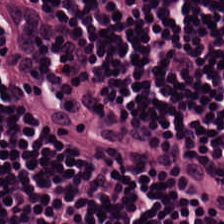Classification — lymphoid infiltrate.
